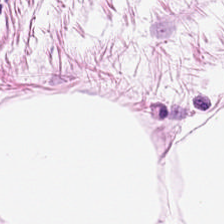Hematoxylin-and-eosin stained section. Tissue = adipose tissue.
